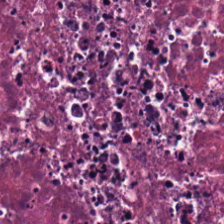Stain: H&E stain.
Tissue: cellular debris.
